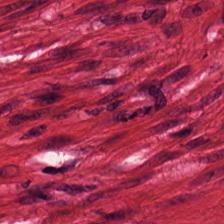20× equivalent magnification. H&E-stained tissue section. 224×224 px patch. {"tissue_type": "muscularis"}
